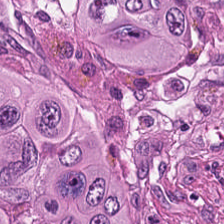H&E stain · FFPE. Classification: malignant epithelium.
